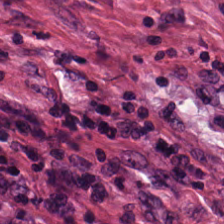H&E-stained tissue section — {"tissue_type": "tumor-associated stroma"}
